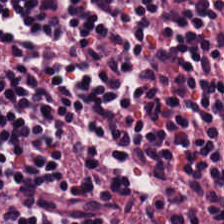H&E-stained tissue section showing lymphocytes.
